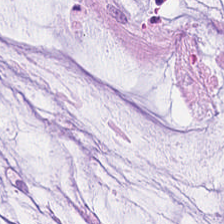Hematoxylin-and-eosin stained section.
The predominant tissue is extracellular mucin.
